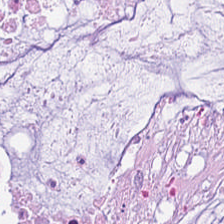{"tissue_type": "extracellular mucin"}
